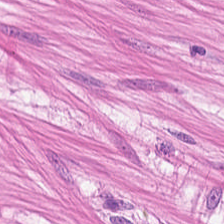Hematoxylin and eosin · brightfield microscopy · 0.5 µm/px.
The tissue is smooth-muscle tissue.
